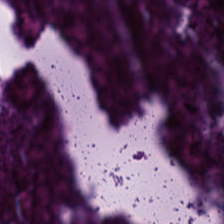{"tissue_type": "debris"}
